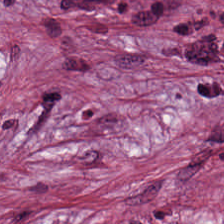Whole-slide-image patch; H&E-stained tissue section — Q: What is shown here?
A: It is desmoplastic stroma.
